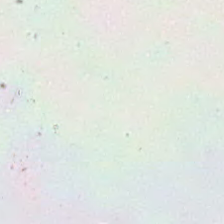Background — no tissue in this field.
